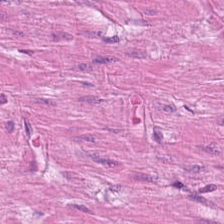224×224 pixel tile. FFPE tissue section. H&E-stained tissue section. The tissue here is smooth muscle.
